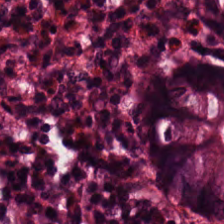Hematoxylin-and-eosin section: non-neoplastic colon mucosa.
